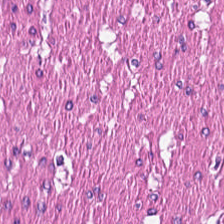H&E-stained tissue section. 224×224 px tile.
{"tissue_type": "muscularis"}
